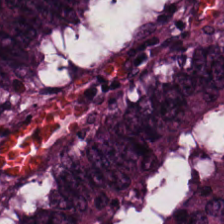Stain: H&E stain.
Preparation: FFPE.
Predominant tissue: colorectal adenocarcinoma.
